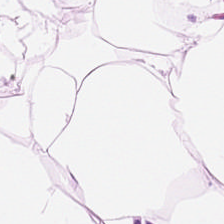Impression — adipose.
